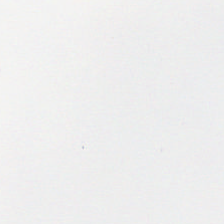The content is background (no tissue).
